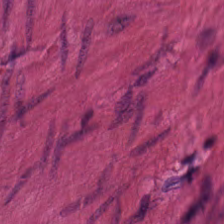H&E. The tissue type is smooth muscle.
